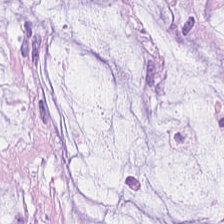H&E-stained tissue section. Finding → extracellular mucin.
